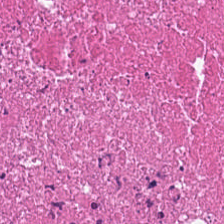H&E stain. 20× equivalent magnification.
Q: What is shown in this field?
A: Debris.
